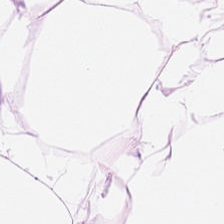Hematoxylin-and-eosin stained section.
Q: Classify this patch.
A: It is fat tissue.
